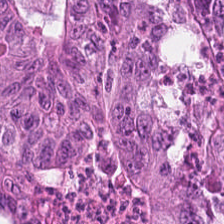FFPE. H&E stain. 0.5 microns per pixel. Impression — colorectal adenocarcinoma.
